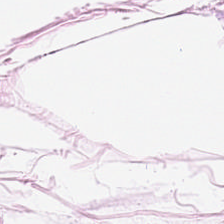H&E patch showing fat tissue.
